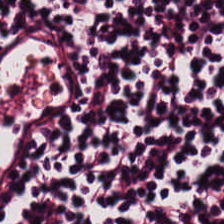Hematoxylin and eosin.
The classification is lymphocytic infiltrate.
